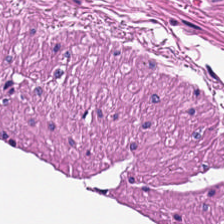FFPE tissue section; hematoxylin-and-eosin stained section; whole-slide-image patch. The tissue class is smooth muscle.
